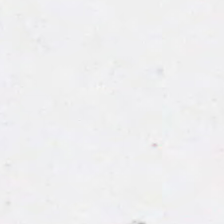H&E-stained tissue section. 224×224 pixel tile. FFPE — {"content": "empty background"}
